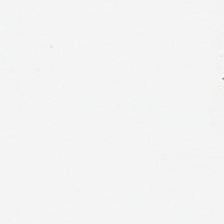Hematoxylin-and-eosin stained section.
Classification = background (no tissue).
